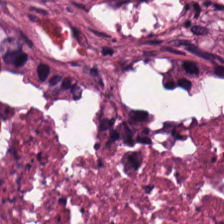FFPE tissue section. H&E.
Classification — debris.
